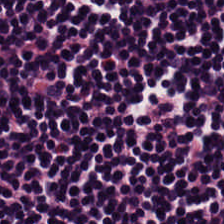Q: What tissue is shown?
A: This is lymphocyte aggregate.
